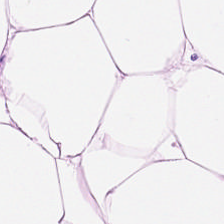The predominant tissue is fat tissue.
